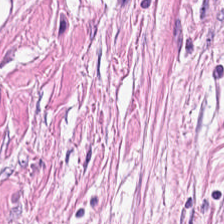Hematoxylin and eosin. Tissue class: desmoplastic stroma.
